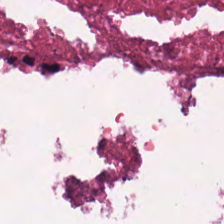FFPE tissue section; brightfield; H&E-stained tissue section.
Tissue type: cellular debris.
